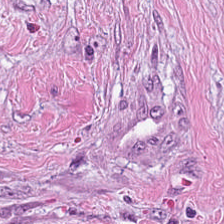H&E-stained tissue section.
The tissue type is tumor stroma.
